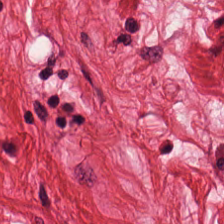H&E-stained tissue section — Smooth muscle.
